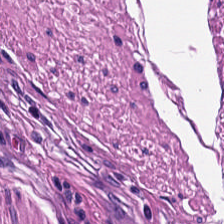Hematoxylin-and-eosin stained section.
Showing smooth-muscle tissue.
